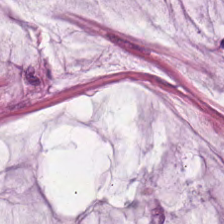Tissue class = extracellular mucin.
